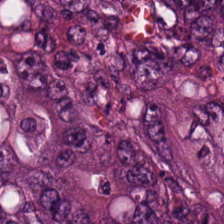Hematoxylin-and-eosin stained section · brightfield · formalin-fixed paraffin-embedded section.
The tissue class is adenocarcinoma.
